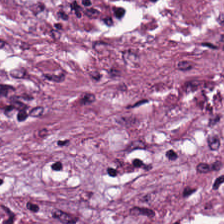Brightfield microscopy · H&E-stained tissue section. Q: What is shown in this field?
A: It is desmoplastic stroma.
